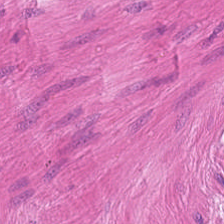H&E patch showing muscularis.
